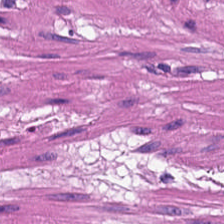Stain: H&E-stained tissue section.
Acquisition: brightfield microscopy.
Tissue: smooth-muscle tissue.
